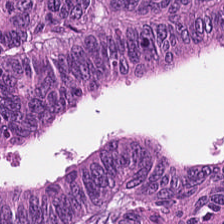H&E stain; 224×224 pixel tile.
Predominantly malignant epithelium.
